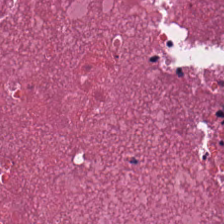H&E-stained tissue section; brightfield; 224×224 pixel tile — Tissue class: debris.
